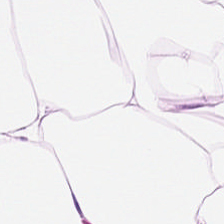Classification = adipose.
